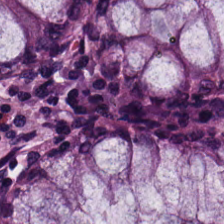Hematoxylin-and-eosin section: benign colonic mucosa.
